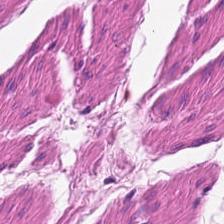FFPE; H&E — This patch shows smooth-muscle tissue.
